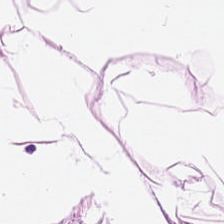H&E stain — Adipose.
